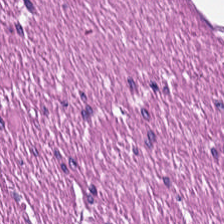Brightfield microscopy. H&E-stained tissue section.
The classification is muscularis.
